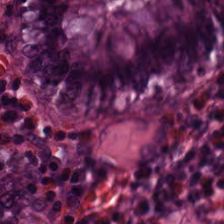Stain: H&E-stained tissue section.
Tissue class: normal colon mucosa.
